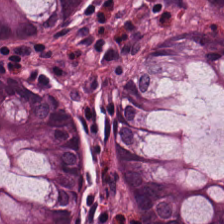Q: What is shown here?
A: This is normal colonic mucosa.
